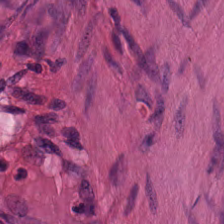FFPE tissue section; hematoxylin-and-eosin stained section.
Classification — smooth muscle.
